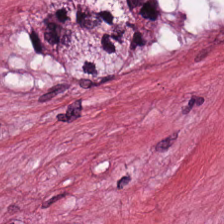Hematoxylin and eosin · WSI patch. Q: What does this patch show?
A: Tumor-associated stroma.
